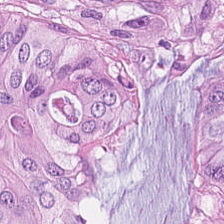Hematoxylin-and-eosin stained section — Impression — malignant epithelium.
